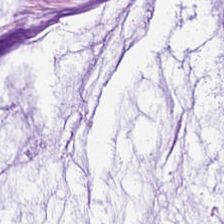H&E-stained tissue section showing mucus.
